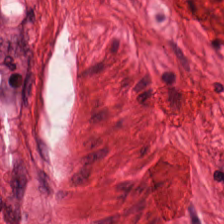H&E-stained tissue section.
This patch shows muscularis.
